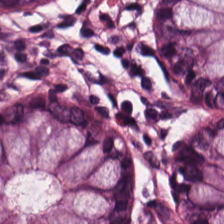Stain: H&E-stained tissue section.
Classification: non-neoplastic colon mucosa.
